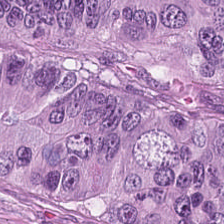H&E-stained tissue section.
Finding → malignant epithelium.
